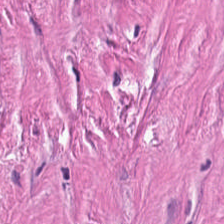Brightfield microscopy. H&E-stained tissue section. FFPE tissue section. Tissue type: desmoplastic stroma.
